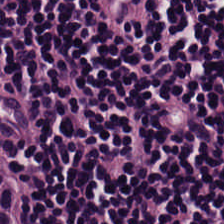H&E.
Q: Identify the tissue.
A: It is lymphoid infiltrate.
